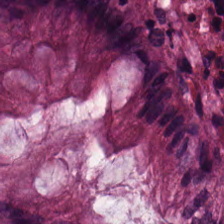Showing normal colon mucosa.
